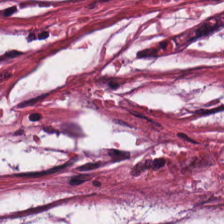Tissue class: desmoplastic stroma.
